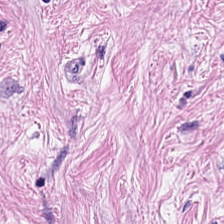Hematoxylin-and-eosin stained section — The predominant tissue is tumor-associated stroma.
